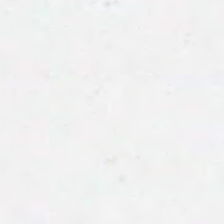The field content is background (no tissue).
